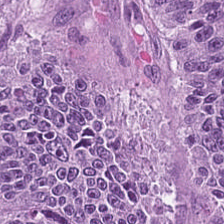H&E stain; formalin-fixed paraffin-embedded section — Impression → colorectal adenocarcinoma epithelium.
